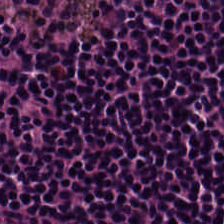FFPE; hematoxylin and eosin — Showing lymphocytic infiltrate.
